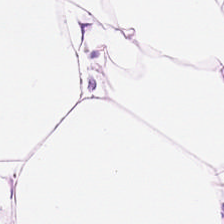Hematoxylin and eosin — Tissue class — adipocytes.
